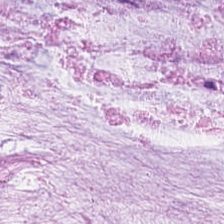H&E stain.
Showing extracellular mucin.
